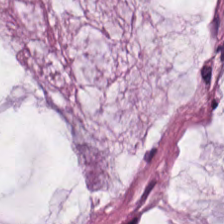H&E.
Showing mucin.
